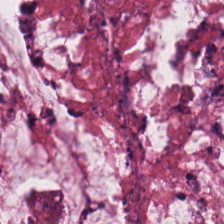Showing extracellular mucin.
